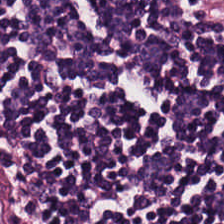Stain: hematoxylin-and-eosin stained section.
Tissue: lymphoid infiltrate.
